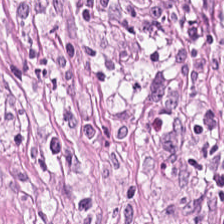Brightfield microscopy; hematoxylin and eosin — The predominant tissue is tumor stroma.
